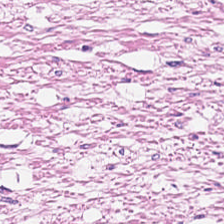224×224 px tile. H&E. Predominant tissue = smooth muscle.
